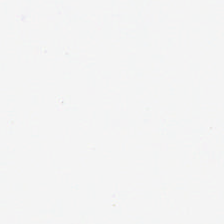H&E. This field is background (no tissue).
